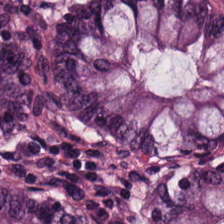Hematoxylin and eosin. Showing normal colonic mucosa.
